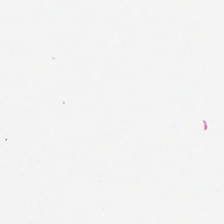H&E-stained tissue section; WSI patch.
Field content: background (no tissue).
